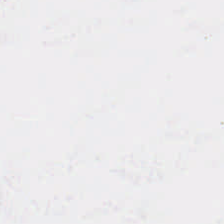Hematoxylin and eosin. Background — no tissue in this field.
